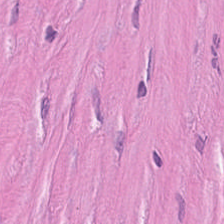H&E stain. 224×224 pixel tile — Tissue type = tumor stroma.
